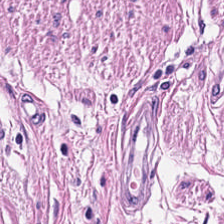Stain: H&E stain.
Tile size: 224×224 px tile.
Tissue: smooth-muscle tissue.
